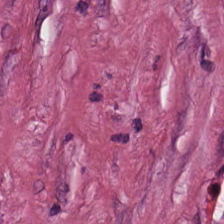Hematoxylin-and-eosin stained section. {"tissue_type": "cancer-associated stroma"}
